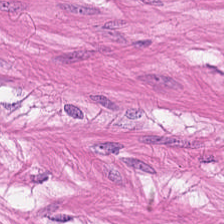{"tissue_type": "smooth-muscle tissue"}
